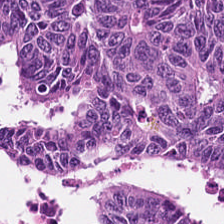H&E-stained tissue section — The tissue class is tumor epithelium.
